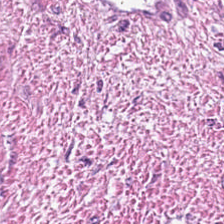Hematoxylin-and-eosin stained section.
Showing tumor stroma.
